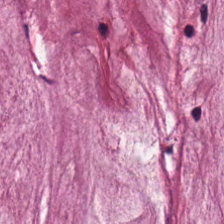Tissue = mucus.
